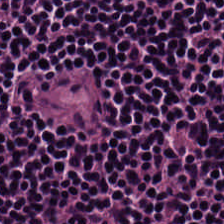Stain: H&E stain.
Tile size: 224×224 pixel tile.
Preparation: FFPE tissue section.
Predominant tissue: lymphocytic infiltrate.
